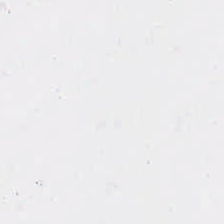FFPE tissue section. 224×224 px patch. Hematoxylin-and-eosin stained section — Background — no tissue in this field.
